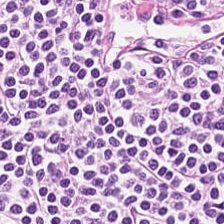224×224 pixel tile. H&E-stained tissue section — The tissue is lymphocytes.
